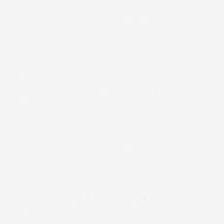Classification: background.
